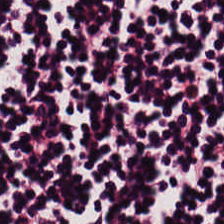Hematoxylin and eosin — The tissue here is lymphoid infiltrate.
